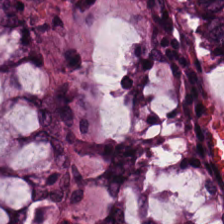H&E.
Tissue — normal colon mucosa.
